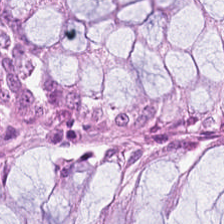Hematoxylin and eosin · 224×224 px patch · FFPE — Q: What is shown here?
A: This is non-neoplastic colon mucosa.
